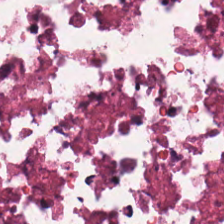Q: What is shown in this field?
A: It is necrotic debris.
